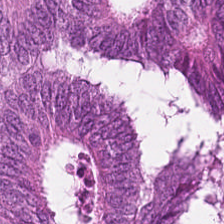Formalin-fixed paraffin-embedded section. Hematoxylin-and-eosin stained section — Tissue class: tumor epithelium.
